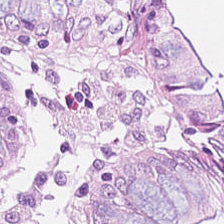Hematoxylin-and-eosin stained section.
Q: What is shown here?
A: This is normal colonic mucosa.
